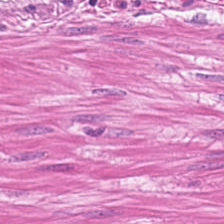H&E stain; 0.5 µm/px; 224×224 px patch. Finding — smooth-muscle tissue.
